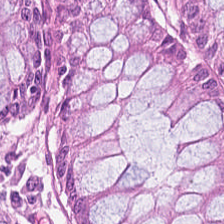20× equivalent magnification. 224×224 px patch. Hematoxylin and eosin. Predominantly benign colonic mucosa.
